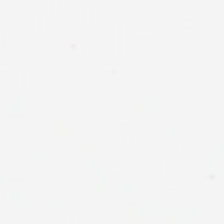Stain: H&E.
Field content: background.
